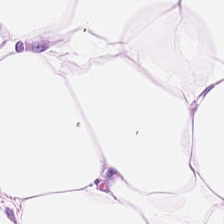Stain: hematoxylin-and-eosin stained section.
Tissue class: adipocytes.
